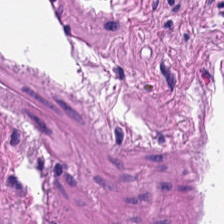Stain: H&E-stained tissue section.
Tissue: smooth-muscle tissue.
